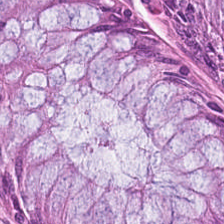Hematoxylin and eosin · 224×224 pixel tile · WSI patch. Q: What type of tissue is this?
A: Normal colonic mucosa.
